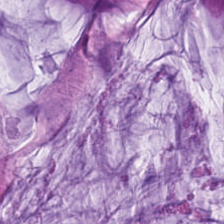20× equivalent magnification; H&E.
Tissue — mucin.
